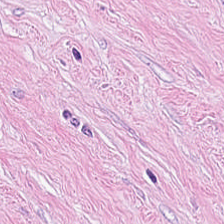0.5 microns per pixel; H&E. The tissue here is tumor stroma.
